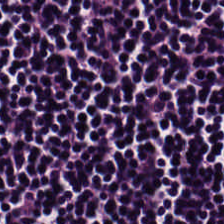H&E-stained tissue section — Tissue class = lymphocytic infiltrate.
